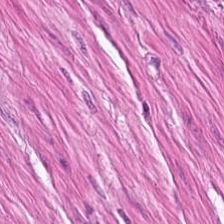H&E-stained tissue section — Finding → muscularis.
